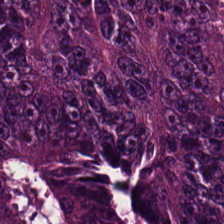Hematoxylin-and-eosin stained section — Adenocarcinoma.
